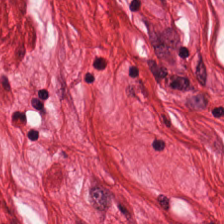The predominant tissue is muscularis.
